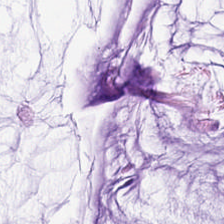224×224 px tile. Hematoxylin and eosin. Predominant tissue — mucin.
